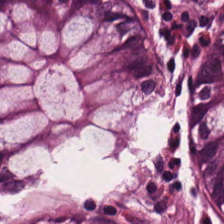Q: What does this patch show?
A: The field shows normal colon mucosa.
